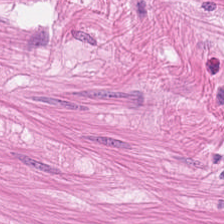Hematoxylin-and-eosin stained section.
Predominantly muscularis.
